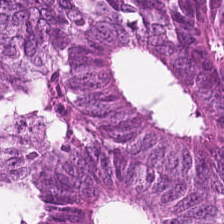Hematoxylin and eosin — The tissue is malignant epithelium.
